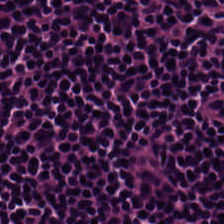H&E. 224×224 px patch. 0.5 µm/px. Tissue type — lymphocytes.
